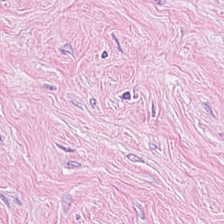Hematoxylin-and-eosin stained section.
The classification is desmoplastic stroma.
